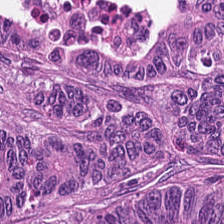Hematoxylin-and-eosin stained section · formalin-fixed paraffin-embedded section · 224×224 px patch. The tissue here is adenocarcinoma.
